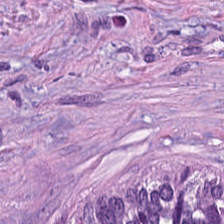H&E-stained tissue section.
Q: What type of tissue is this?
A: The field shows tumor-associated stroma.
